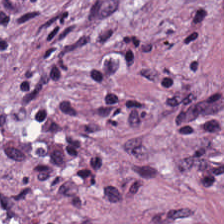Brightfield · hematoxylin-and-eosin stained section.
Predominantly desmoplastic stroma.
